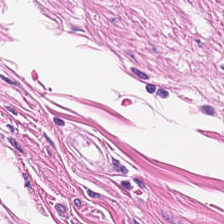{"tissue_type": "muscularis"}
